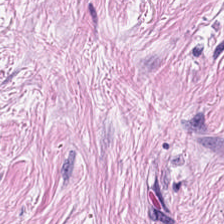Hematoxylin-and-eosin stained section · 0.5 microns per pixel.
Classification — tumor-associated stroma.
